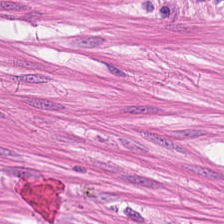224×224 px tile; 20× equivalent magnification; hematoxylin-and-eosin stained section — Q: What is the predominant tissue type?
A: The field shows smooth-muscle tissue.
